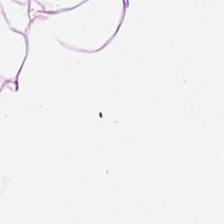This patch shows adipose.
